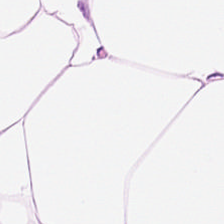H&E-stained tissue section. This patch shows adipose tissue.
